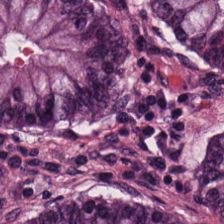Stain: hematoxylin and eosin.
Tissue type: normal colon mucosa.
